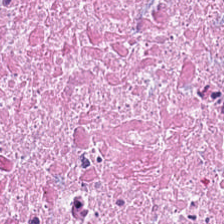H&E-stained section; the field shows necrotic debris.
